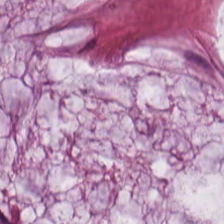Stain: H&E.
Tissue class: extracellular mucin.
